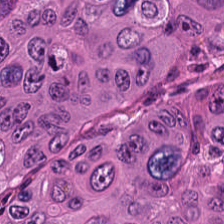H&E stain — The predominant tissue is tumor epithelium.
